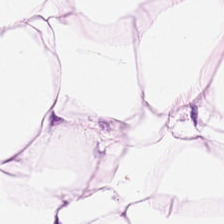Hematoxylin-and-eosin stained section. Tissue type = adipose.
